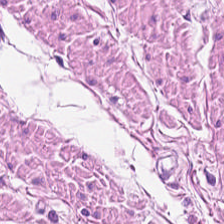H&E stain — This field is smooth muscle.
